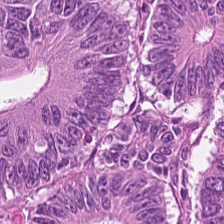Stain: H&E-stained tissue section.
Preparation: FFPE.
Acquisition: brightfield.
Tissue: adenocarcinoma.
